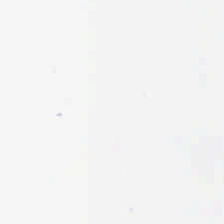Impression → background (no tissue).
